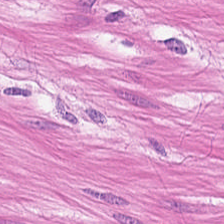H&E-stained tissue section.
Q: Identify the tissue.
A: The field shows smooth muscle.
